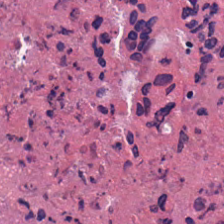Histology → necrotic debris.
